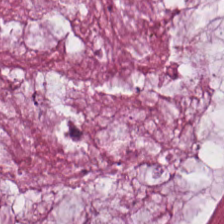Hematoxylin-and-eosin stained section — Q: What does this patch show?
A: The field shows mucin.
